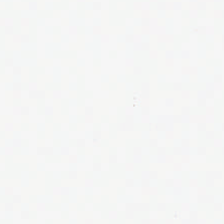Q: What is shown here?
A: Empty background.
